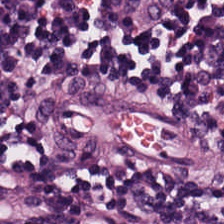H&E.
Showing lymphocytes.
